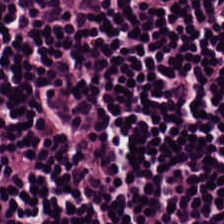This field is lymphocytes.
